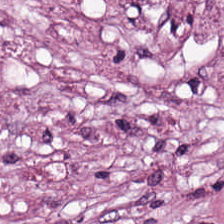Hematoxylin and eosin; brightfield microscopy. Q: What does this patch show?
A: Cancer-associated stroma.
